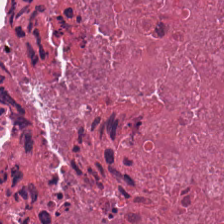224×224 pixel tile · hematoxylin and eosin. Finding → cellular debris.
